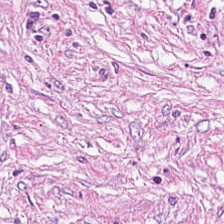Hematoxylin and eosin. Brightfield.
Histology → desmoplastic stroma.
